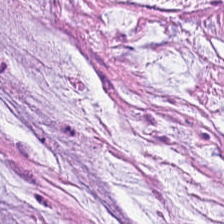0.5 µm per pixel; H&E stain. Histology — mucus.
